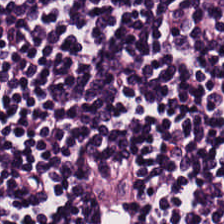H&E-stained tissue section. The tissue here is lymphocytic infiltrate.
